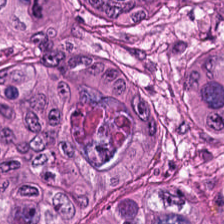H&E-stained tissue section — The tissue type is colorectal adenocarcinoma.
